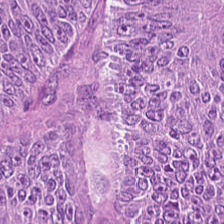Hematoxylin and eosin. This patch shows malignant epithelium.
